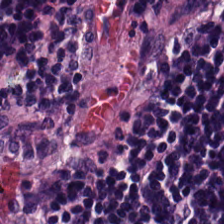Stain: H&E stain.
Preparation: FFPE.
Tile size: 224×224 px patch.
Classification: lymphocytes.
